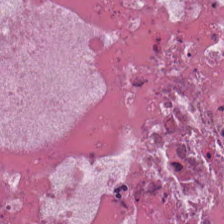Tissue class: debris.
